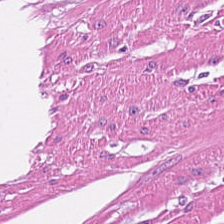H&E.
The tissue here is muscularis.
